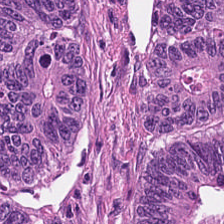H&E-stained tissue section.
The tissue here is colorectal adenocarcinoma epithelium.
